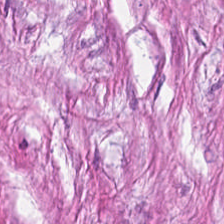H&E. Showing tumor-associated stroma.
